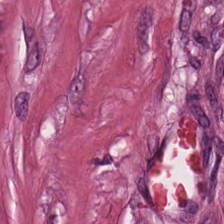H&E-stained tissue section. The classification is cancer-associated stroma.
